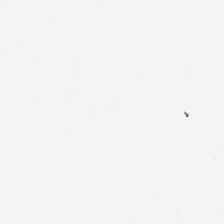Stain: hematoxylin and eosin.
Classification: background.
